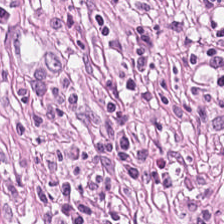Finding — desmoplastic stroma.
